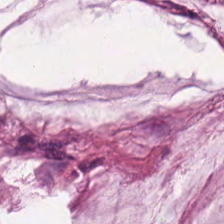H&E-stained tissue section — Predominantly extracellular mucin.
